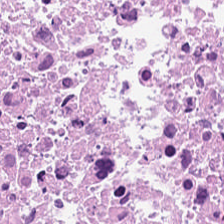Whole-slide-image patch. Hematoxylin and eosin. 0.5 microns per pixel.
The predominant tissue is necrotic debris.
